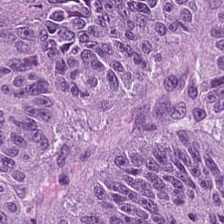Hematoxylin-and-eosin section: colorectal adenocarcinoma epithelium.
